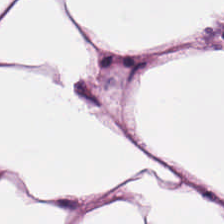Stain: H&E.
Resolution: 20× equivalent magnification.
Classification: adipose.
